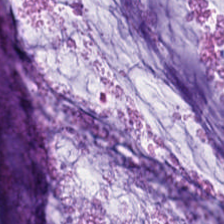Showing mucus.
